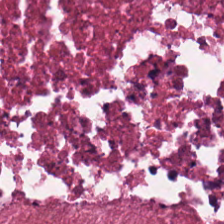Stain: hematoxylin-and-eosin stained section.
Classification: cellular debris.
